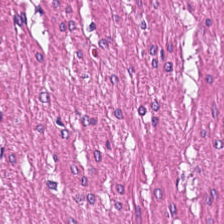This field is smooth-muscle tissue.
